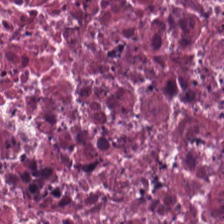224×224 px patch. Whole-slide-image patch. H&E stain. The predominant tissue is debris.
